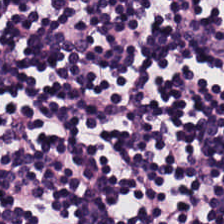Hematoxylin and eosin — This patch shows lymphocytic infiltrate.
